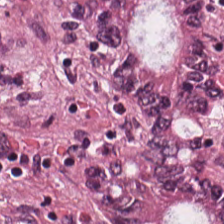H&E-stained tissue section.
The predominant tissue is colorectal adenocarcinoma epithelium.
